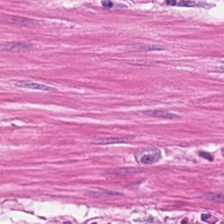Hematoxylin and eosin · brightfield microscopy · 0.5 µm/px — The predominant tissue is smooth muscle.
